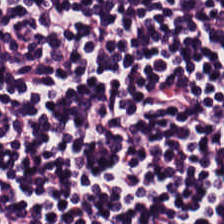Tissue class: lymphocytes.
